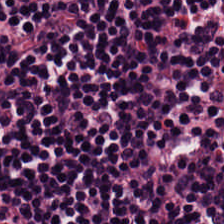Stain: H&E.
Resolution: 0.5 µm/px.
Tissue: lymphocyte aggregate.
